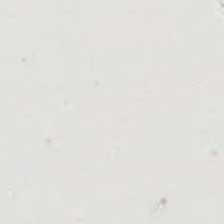H&E. Q: What does this patch show?
A: It is background.
